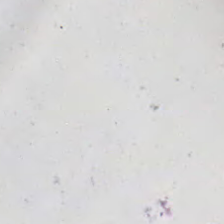H&E. Empty field — background.
